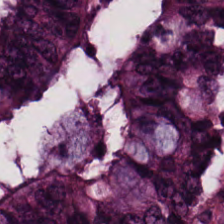Stain: H&E-stained tissue section.
Tissue type: malignant epithelium.
